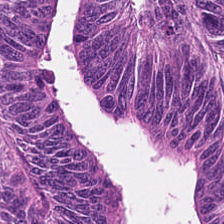H&E — Predominant tissue — adenocarcinoma.
